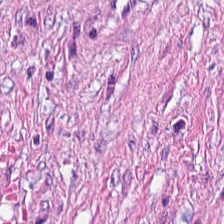H&E-stained tissue section. Predominant tissue: tumor-associated stroma.
